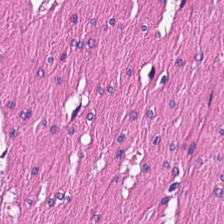Brightfield microscopy. Hematoxylin-and-eosin stained section.
Tissue = smooth-muscle tissue.
